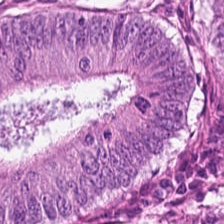H&E-stained tissue section. FFPE tissue section. 224×224 px tile.
Q: What tissue type is shown here?
A: The field shows malignant epithelium.
